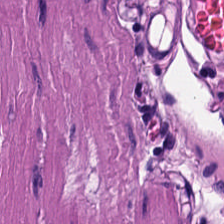Classification = muscularis.
